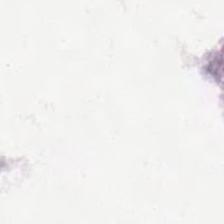H&E stain; 20× equivalent magnification. No tissue present; background only.
